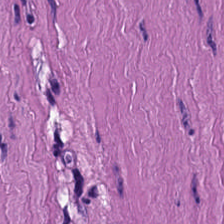H&E; 0.5 µm per pixel.
Tissue — muscularis.
